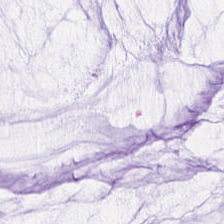Hematoxylin-and-eosin stained section. 224×224 pixel tile.
This field is mucus.
